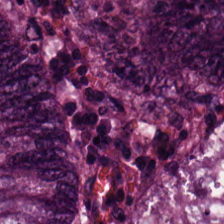Stain: H&E.
Resolution: 20× equivalent magnification.
Tile size: 224×224 pixel tile.
Classification: adenocarcinoma.
